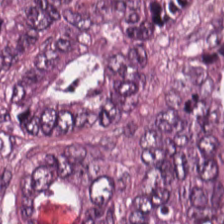Hematoxylin-and-eosin stained section.
Impression → malignant epithelium.
